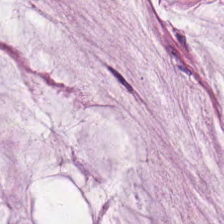H&E stain. 224×224 pixel tile. Mucin.
